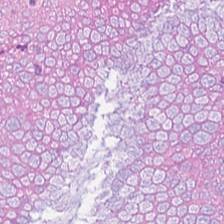Hematoxylin-and-eosin stained section — The predominant tissue is adenocarcinoma.
